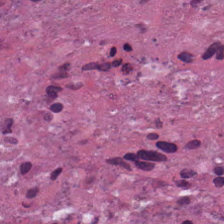Hematoxylin and eosin. FFPE tissue section.
Predominantly necrotic debris.
